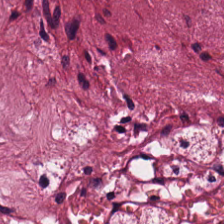Hematoxylin-and-eosin stained section — This field is tumor stroma.
